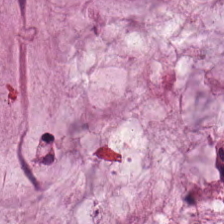H&E-stained tissue section.
Classification: mucus.
